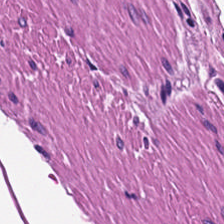H&E-stained tissue section — {"tissue_type": "smooth-muscle tissue"}
